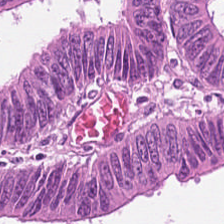Finding → tumor epithelium.
